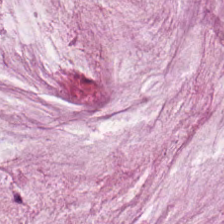Stain: hematoxylin and eosin.
Tissue class: extracellular mucin.
